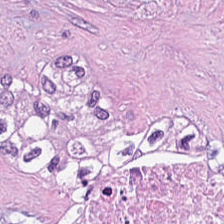Tissue — cellular debris.
